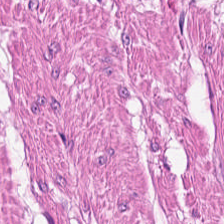224×224 pixel tile · H&E-stained tissue section — The predominant tissue is smooth muscle.
